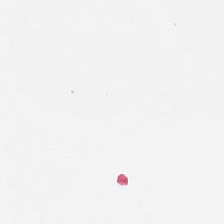H&E — Q: Classify this patch.
A: The field shows no tissue.
